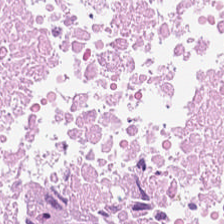Whole-slide-image patch; 224×224 pixel tile; H&E-stained tissue section.
This field is cellular debris.
